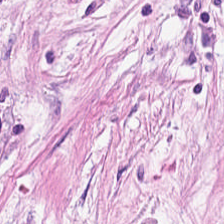H&E-stained tissue section · 224×224 px tile.
This field is cancer-associated stroma.
